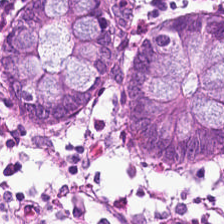Hematoxylin-and-eosin stained section · 224×224 pixel tile · FFPE tissue section — This field is normal colonic mucosa.
